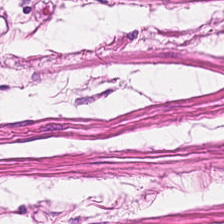H&E stain · 224×224 px tile · 0.5 microns per pixel. Q: What type of tissue is this?
A: The field shows smooth muscle.
